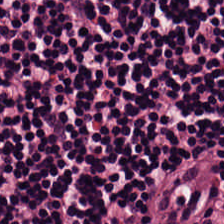Hematoxylin-and-eosin stained section. Q: What does this patch show?
A: This is lymphocytic infiltrate.
